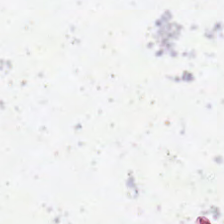Hematoxylin-and-eosin stained section · 0.5 microns per pixel.
Field content = empty background.
